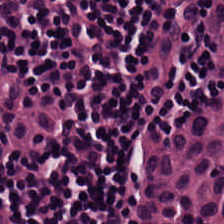H&E.
The tissue is lymphoid infiltrate.
